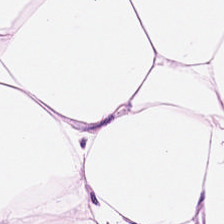Hematoxylin-and-eosin stained section.
Showing fat tissue.
